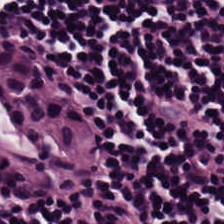Hematoxylin and eosin.
This field is lymphocyte aggregate.
